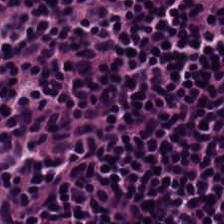H&E-stained tissue section. This patch shows lymphocyte aggregate.
